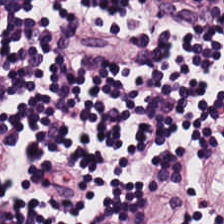Stain: H&E-stained tissue section.
Acquisition: whole-slide-image patch.
Predominant tissue: lymphocyte aggregate.
